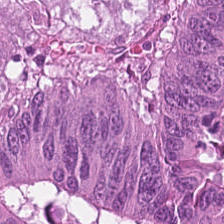Q: What is shown in this field?
A: The field shows colorectal adenocarcinoma epithelium.
